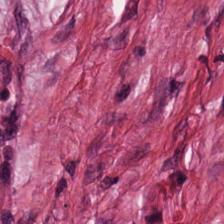H&E-stained tissue section. Whole-slide-image patch. Predominantly tumor-associated stroma.
